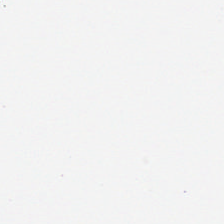Hematoxylin-and-eosin stained section · 20× equivalent magnification · WSI patch. Background.
